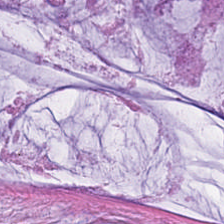H&E-stained tissue section; 0.5 microns per pixel.
This field is mucus.
